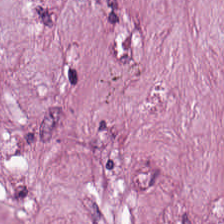H&E stain. Brightfield.
Tissue type: tumor-associated stroma.
